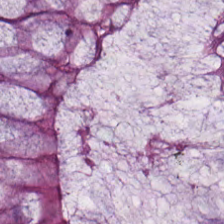H&E-stained tissue section. Q: What is shown in this field?
A: This is non-neoplastic colon mucosa.
